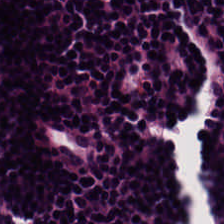H&E — Impression → lymphocytic infiltrate.
